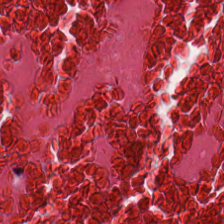Whole-slide-image patch. 224×224 px tile. Hematoxylin-and-eosin stained section. Q: What is the predominant tissue type?
A: Necrotic debris.
